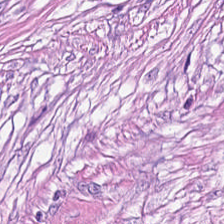H&E-stained tissue section. The tissue here is desmoplastic stroma.
